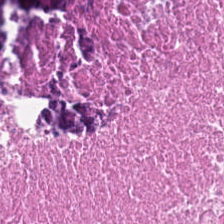Whole-slide-image patch. H&E stain — Showing debris.
